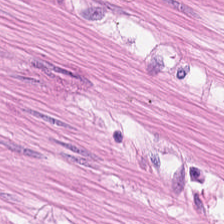Impression → smooth-muscle tissue.
